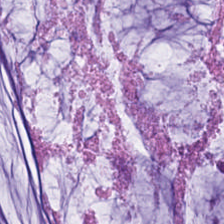H&E — Showing extracellular mucin.
